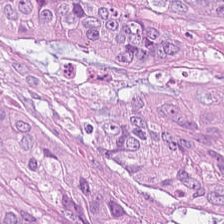224×224 px tile · H&E-stained tissue section · formalin-fixed paraffin-embedded section — Predominant tissue — tumor epithelium.
